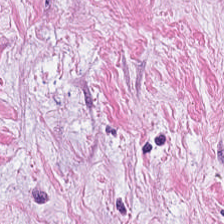FFPE; H&E-stained tissue section. This patch shows tumor-associated stroma.
